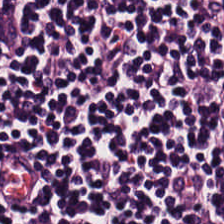H&E stain.
The tissue here is lymphocytes.
